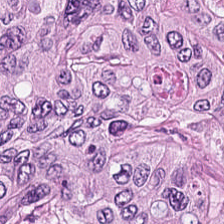0.5 microns per pixel · hematoxylin and eosin · brightfield microscopy — This field is adenocarcinoma.
